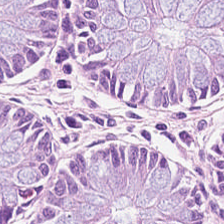Hematoxylin and eosin. Histology → non-neoplastic colon mucosa.
